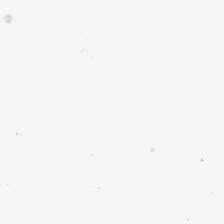Empty field — empty background.
